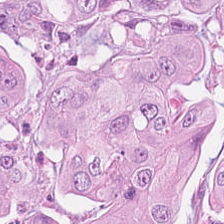H&E-stained tissue section.
Q: What is shown in this field?
A: This is colorectal adenocarcinoma epithelium.
